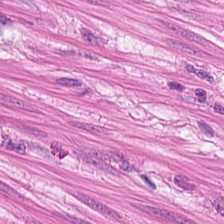H&E.
Predominantly smooth muscle.
